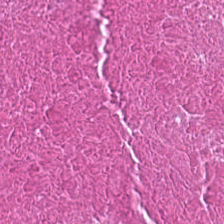224×224 pixel tile; H&E stain — Q: What type of tissue is this?
A: It is necrotic debris.
